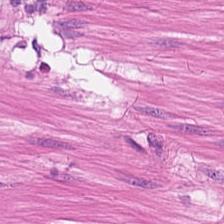Classification = muscularis.
